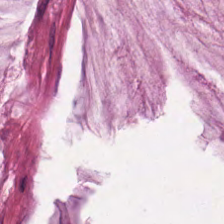H&E stain. FFPE. Whole-slide-image patch.
Tissue type: mucin.
